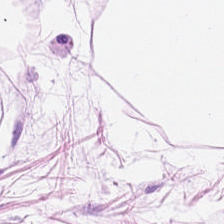Whole-slide-image patch; H&E-stained tissue section; 20× equivalent magnification. Q: What tissue is shown?
A: The field shows adipose.
